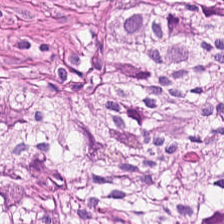Predominant tissue = muscularis.
